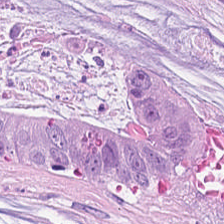H&E stain — The tissue is mucus.
